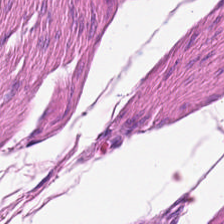H&E-stained tissue section — Classification: smooth muscle.
